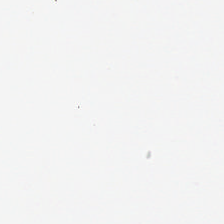0.5 µm per pixel; FFPE tissue section; H&E.
The classification is background.
